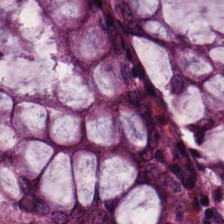20× equivalent magnification; H&E stain — This patch shows normal colon mucosa.
